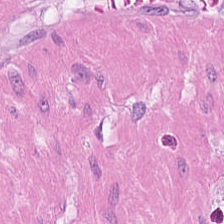Formalin-fixed paraffin-embedded section; H&E — This field is smooth-muscle tissue.
